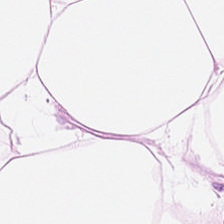0.5 µm per pixel. Hematoxylin and eosin — The tissue here is adipocytes.
